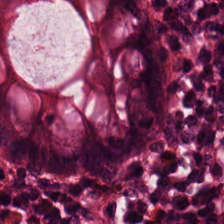Hematoxylin-and-eosin stained section — Histology → benign colonic mucosa.
